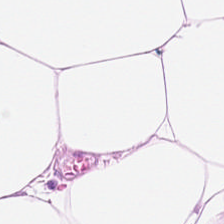H&E-stained tissue section — {"tissue_type": "adipose tissue"}
